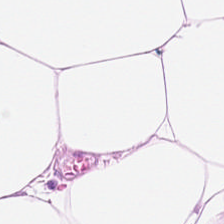H&E-stained tissue section — {"tissue_type": "adipose tissue"}
